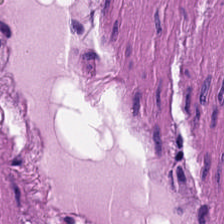H&E; 224×224 px patch — The tissue here is muscularis.
